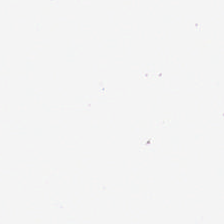H&E-stained tissue section; whole-slide-image patch. Background — no tissue in this field.
